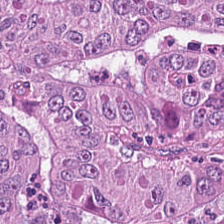H&E stain.
Tissue = tumor epithelium.
